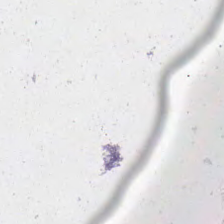H&E-stained tissue section; 20× equivalent magnification — Q: What is shown in this field?
A: Background.
